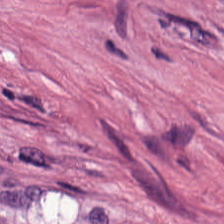H&E. {"tissue_type": "desmoplastic stroma"}
